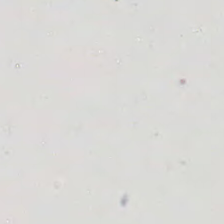Brightfield microscopy · H&E.
Q: What is shown here?
A: The field shows background (no tissue).
